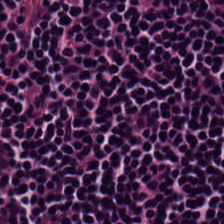H&E-stained tissue section · 224×224 px patch. Predominantly lymphoid infiltrate.
